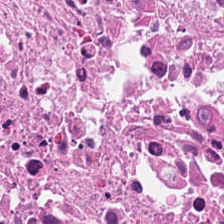Tissue type — necrotic debris.
